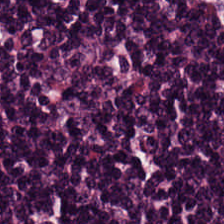Hematoxylin-and-eosin stained section — Classification: lymphoid infiltrate.
